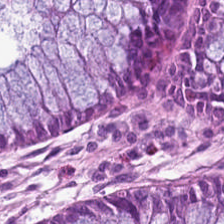Hematoxylin and eosin — Predominantly normal colon mucosa.
